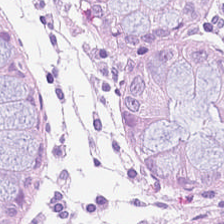H&E-stained section; the field shows normal colon mucosa.
